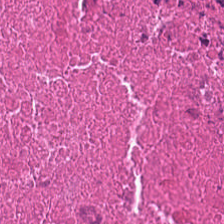H&E patch showing cellular debris.
